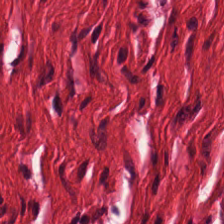Hematoxylin and eosin. Q: What does this patch show?
A: This is muscularis.
